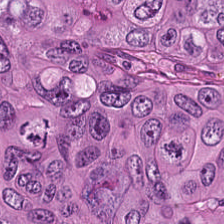Hematoxylin and eosin. The tissue here is malignant epithelium.
